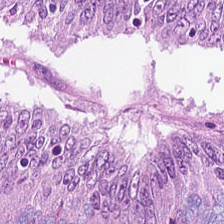224×224 pixel tile · formalin-fixed paraffin-embedded section · H&E-stained tissue section — Q: Classify this patch.
A: The field shows malignant epithelium.
